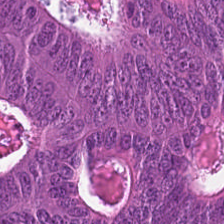Hematoxylin and eosin.
Predominantly adenocarcinoma.
